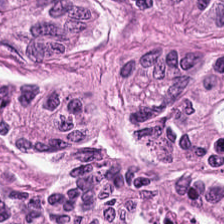Hematoxylin-and-eosin stained section. Showing malignant epithelium.
